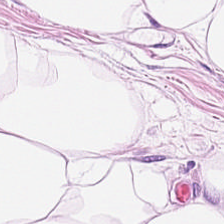Brightfield microscopy; hematoxylin-and-eosin stained section.
Classification = fat tissue.
